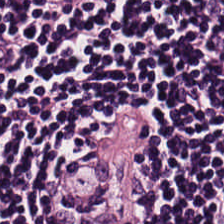H&E — lymphocytic infiltrate.
